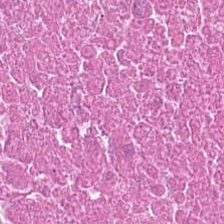The predominant tissue is necrotic debris.
